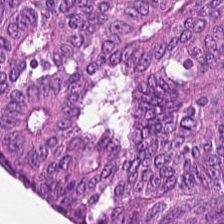224×224 pixel tile. 0.5 µm/px. Hematoxylin and eosin. Q: What is the predominant tissue type?
A: This is colorectal adenocarcinoma.
